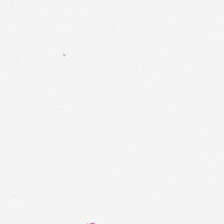Stain: hematoxylin-and-eosin stained section.
Field content: background (no tissue).
